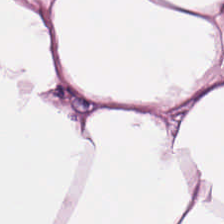FFPE. H&E-stained tissue section — Predominantly adipocytes.
